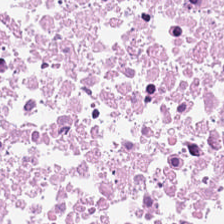H&E-stained tissue section.
This patch shows cellular debris.
